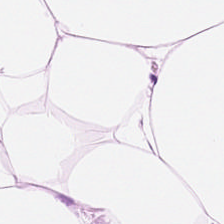Classification = fat tissue.
